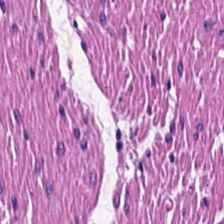H&E-stained tissue section. Q: What tissue is shown?
A: Muscularis.
